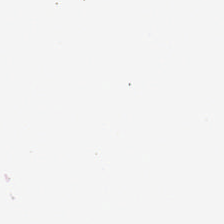Hematoxylin-and-eosin stained section. Background (no tissue).
